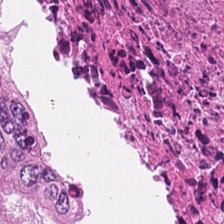H&E · formalin-fixed paraffin-embedded section. The predominant tissue is debris.
